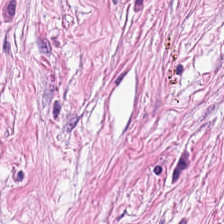Stain: H&E.
Classification: desmoplastic stroma.
